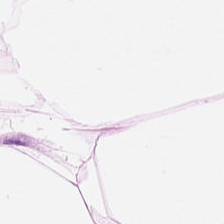Q: What does this patch show?
A: It is fat tissue.
